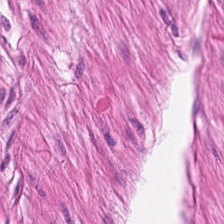Hematoxylin-and-eosin section: smooth-muscle tissue.
